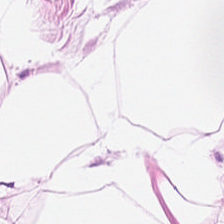Classification: fat tissue.
